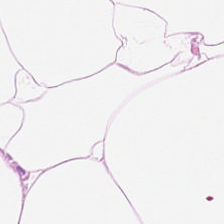{"tissue_type": "adipose tissue"}
